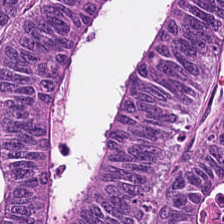224×224 pixel tile · hematoxylin-and-eosin stained section — Predominantly adenocarcinoma.
